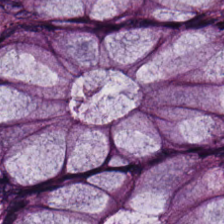Classification — non-neoplastic colon mucosa.
